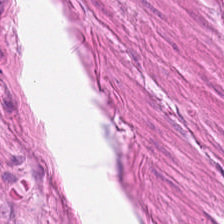20× equivalent magnification · H&E · formalin-fixed paraffin-embedded section.
Q: Classify this patch.
A: The field shows smooth-muscle tissue.
